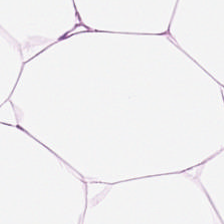H&E · 0.5 microns per pixel · brightfield microscopy.
The predominant tissue is adipocytes.
